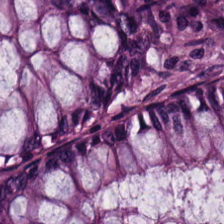Stain: hematoxylin-and-eosin stained section.
Classification: non-neoplastic colon mucosa.
